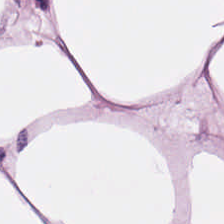Finding → adipose tissue.
